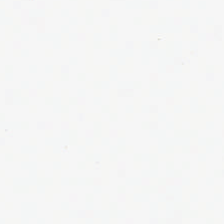Stain: H&E-stained tissue section.
Preparation: FFPE.
Field content: empty background.
